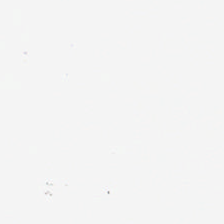H&E-stained tissue section · 224×224 px patch · 20× equivalent magnification. Empty field — empty background.
